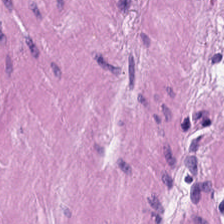Brightfield microscopy; H&E stain. Q: What is shown in this field?
A: The field shows smooth muscle.
